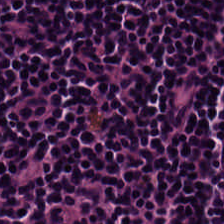H&E — Q: What does this patch show?
A: This is lymphocyte aggregate.
